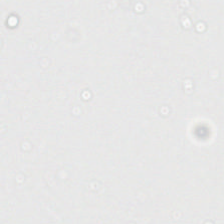{"content": "empty background"}
